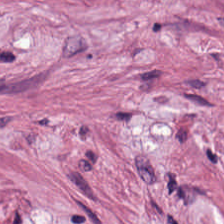Brightfield microscopy; 224×224 px patch; H&E stain.
Q: Identify the tissue.
A: Cancer-associated stroma.
